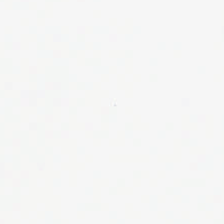Q: What is shown here?
A: This is background (no tissue).
